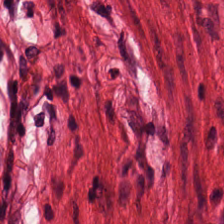H&E stain.
The predominant tissue is smooth muscle.
